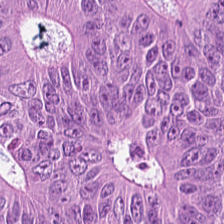H&E-stained tissue section — Predominant tissue — colorectal adenocarcinoma epithelium.
